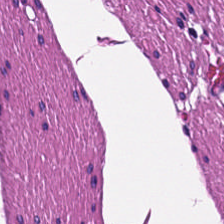H&E-stained tissue section. FFPE tissue section — This field is smooth muscle.
